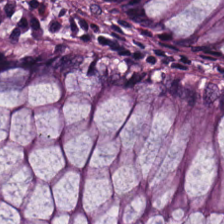H&E — Q: What is shown here?
A: The field shows normal colonic mucosa.
